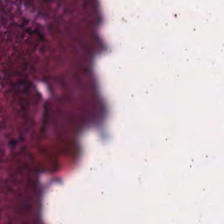H&E stain. Brightfield microscopy. Histology → cellular debris.
